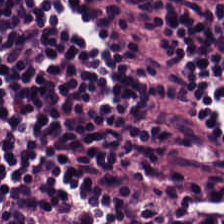H&E stain. The predominant tissue is lymphoid infiltrate.
